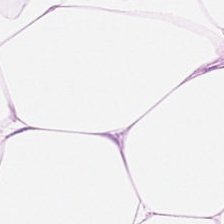Stain: H&E stain.
Acquisition: brightfield.
Tile size: 224×224 px patch.
Classification: adipose.
